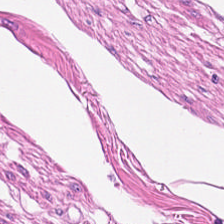H&E — {"tissue_type": "smooth-muscle tissue"}
